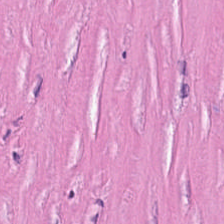Stain: H&E-stained tissue section.
Acquisition: brightfield microscopy.
Tissue class: cancer-associated stroma.
